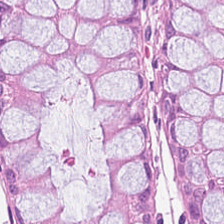H&E stain · FFPE — Non-neoplastic colon mucosa.
